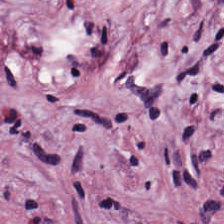Tissue — tumor-associated stroma.
